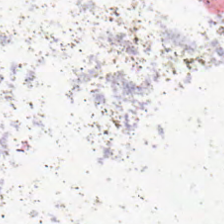This field is background (no tissue).
